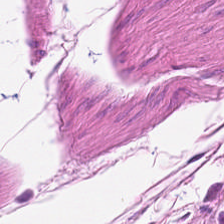Finding — muscularis.
